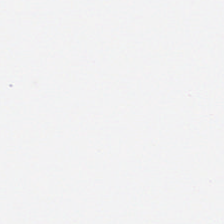H&E stain. 224×224 px tile. Q: What does this patch show?
A: Background.
